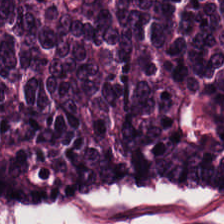Hematoxylin and eosin · 224×224 pixel tile. This field is malignant epithelium.
